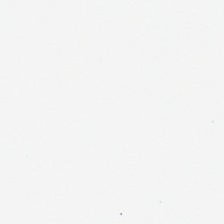H&E-stained tissue section · 224×224 px tile.
No tissue present; background only.
